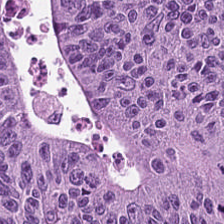Hematoxylin-and-eosin stained section; FFPE.
This field is malignant epithelium.
